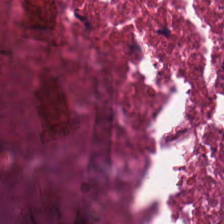Hematoxylin and eosin. Q: Identify the tissue.
A: Necrotic debris.
